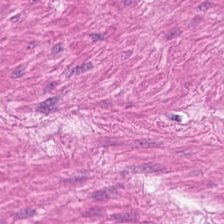Predominantly smooth-muscle tissue.
